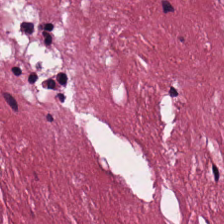H&E patch showing tumor stroma.
